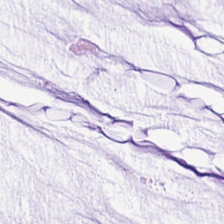Classification — mucin.
